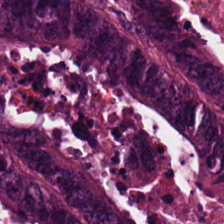Stain: H&E.
Tissue: adenocarcinoma.
